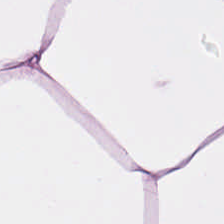224×224 px tile. H&E stain. WSI patch — This field is adipocytes.
